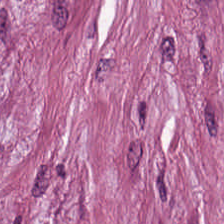Hematoxylin-and-eosin stained section · FFPE tissue section. This patch shows desmoplastic stroma.
